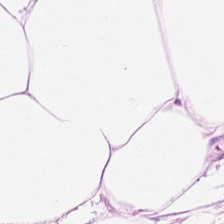Hematoxylin-and-eosin stained section — This field is fat tissue.
